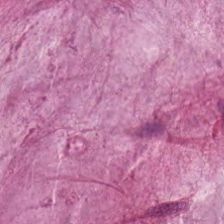H&E.
The tissue is mucin.
